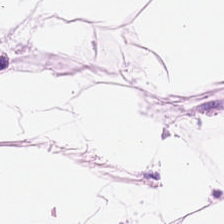Q: What tissue is shown?
A: It is fat tissue.
